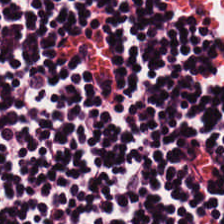Stain: hematoxylin and eosin.
Acquisition: brightfield microscopy.
Tile size: 224×224 px tile.
Tissue class: lymphocytes.
